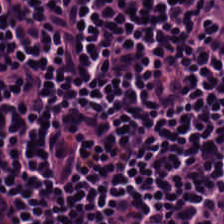Showing lymphocytes.
